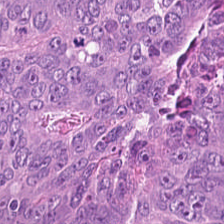Hematoxylin and eosin. {"tissue_type": "colorectal adenocarcinoma"}
